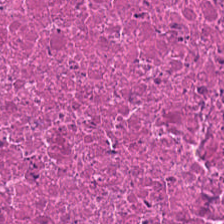Stain: hematoxylin and eosin.
Tissue type: cellular debris.
